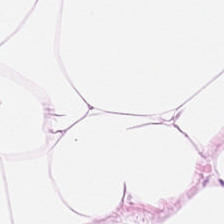Histology → adipocytes.
